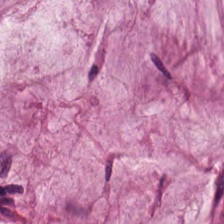20× equivalent magnification · brightfield · hematoxylin-and-eosin stained section. Q: What is the predominant tissue type?
A: This is mucin.
